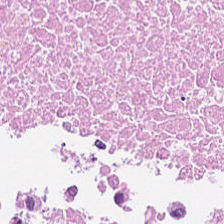Stain: hematoxylin and eosin.
Tile size: 224×224 px tile.
Acquisition: whole-slide-image patch.
Tissue: cellular debris.
